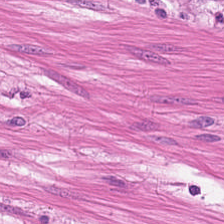H&E stain. Formalin-fixed paraffin-embedded section. 224×224 pixel tile — Q: What does this patch show?
A: It is smooth muscle.
